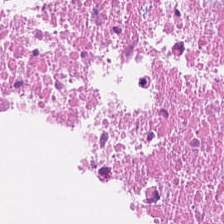H&E · FFPE — Q: Classify this patch.
A: It is debris.
